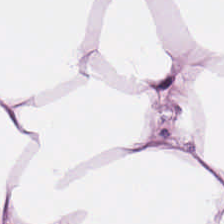Tissue: adipose tissue.
